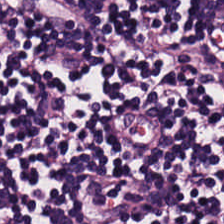224×224 pixel tile; H&E stain.
Q: What is shown in this field?
A: It is lymphocyte aggregate.
